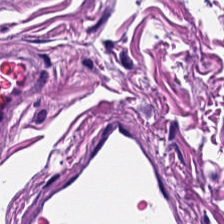H&E — Showing smooth muscle.
